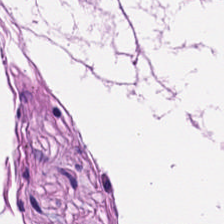Stain: hematoxylin and eosin.
Acquisition: whole-slide-image patch.
Preparation: FFPE tissue section.
Tissue: smooth muscle.
